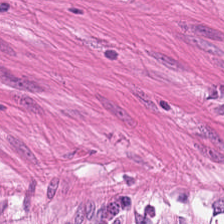Q: What does this patch show?
A: The field shows muscularis.
